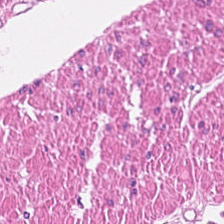H&E-stained tissue section — Q: What does this patch show?
A: This is smooth-muscle tissue.
